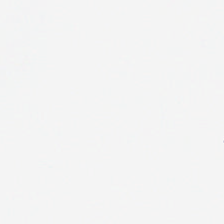No tissue.
